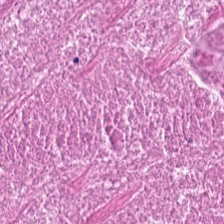Cellular debris.
